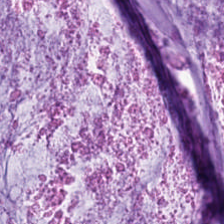Stain: H&E stain.
Acquisition: brightfield.
Tissue class: mucus.
